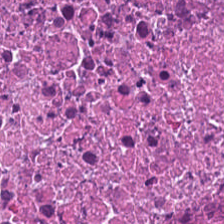Q: Classify this patch.
A: This is cellular debris.
